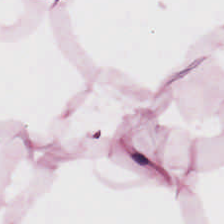Hematoxylin and eosin. Q: What type of tissue is this?
A: Adipose.
